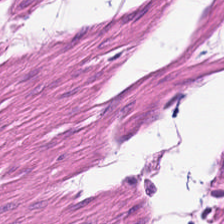H&E-stained tissue section.
Classification: smooth muscle.
